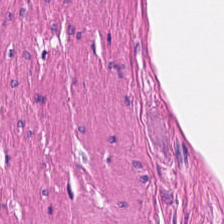Q: What is shown in this field?
A: Smooth-muscle tissue.
